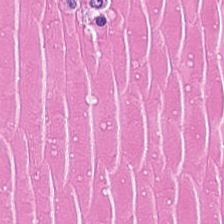H&E. {"tissue_type": "debris"}
